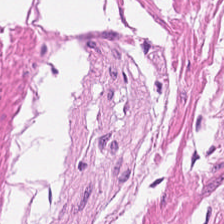H&E · FFPE tissue section · 224×224 px patch.
Tissue — smooth-muscle tissue.
